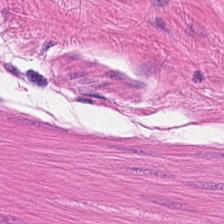Stain: hematoxylin-and-eosin stained section.
Acquisition: brightfield microscopy.
Resolution: 0.5 µm/px.
Predominant tissue: smooth muscle.
